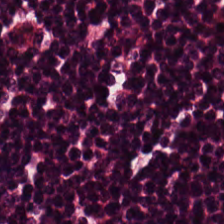Hematoxylin-and-eosin stained section. 224×224 pixel tile. The predominant tissue is lymphocytic infiltrate.
